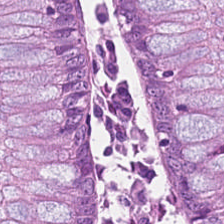Q: What does this patch show?
A: The field shows benign colonic mucosa.
